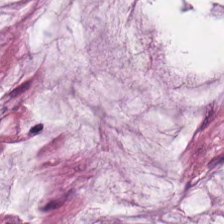H&E-stained tissue section.
Q: What is the predominant tissue type?
A: Extracellular mucin.
